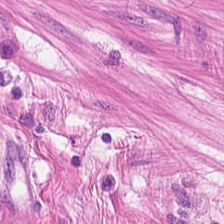H&E · brightfield microscopy — Finding — muscularis.
